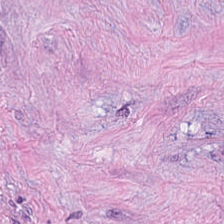Stain: H&E stain.
Tissue class: tumor stroma.
